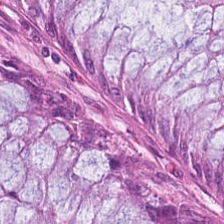Stain: hematoxylin-and-eosin stained section.
Resolution: 0.5 µm per pixel.
Tile size: 224×224 px patch.
Classification: non-neoplastic colon mucosa.
